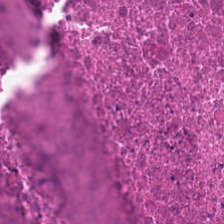224×224 pixel tile · H&E stain. Impression → debris.
